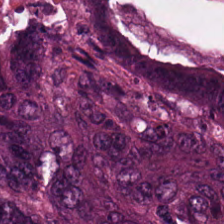224×224 pixel tile. H&E-stained tissue section. WSI patch. Colorectal adenocarcinoma.
